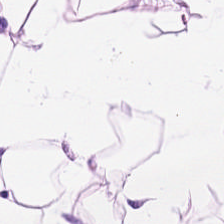Hematoxylin-and-eosin stained section · 224×224 pixel tile.
{"tissue_type": "adipose"}
